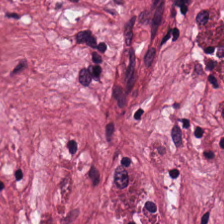H&E — cancer-associated stroma.
